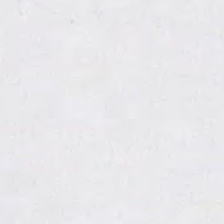WSI patch. H&E — This field is background (no tissue).
